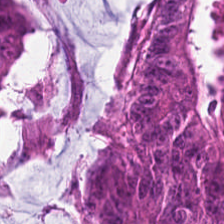H&E.
{"tissue_type": "colorectal adenocarcinoma"}
